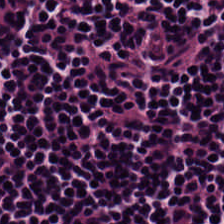Hematoxylin and eosin; 0.5 microns per pixel.
{"tissue_type": "lymphoid infiltrate"}
